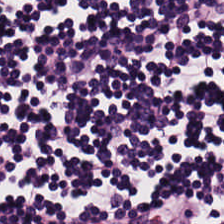H&E stain; FFPE tissue section — Classification = lymphocytic infiltrate.
